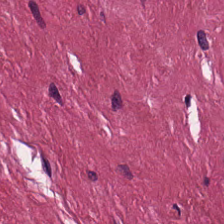H&E-stained tissue section — Tissue class: cancer-associated stroma.
